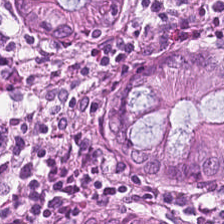0.5 µm/px; 224×224 pixel tile; hematoxylin and eosin — Tissue class: normal colon mucosa.
